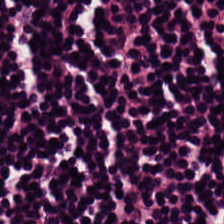224×224 px tile. H&E. FFPE tissue section.
Classification = lymphoid infiltrate.
